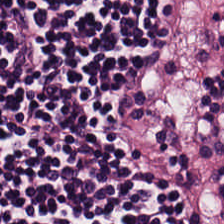The classification is lymphocytes.
